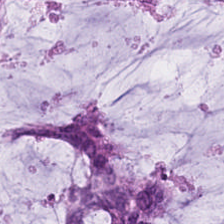Hematoxylin and eosin.
The tissue here is extracellular mucin.
